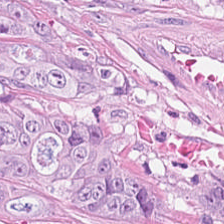Hematoxylin and eosin · 224×224 px tile. Predominant tissue = colorectal adenocarcinoma epithelium.
